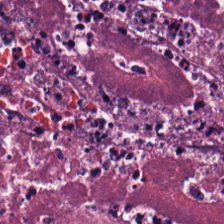Brightfield. Hematoxylin-and-eosin stained section. Tissue — debris.
